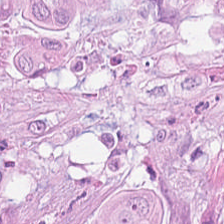H&E stain; FFPE tissue section; 0.5 µm/px.
Q: What tissue is shown?
A: It is colorectal adenocarcinoma.
